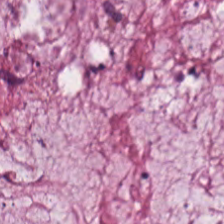FFPE tissue section · H&E-stained tissue section · 20× equivalent magnification — Predominantly mucin.
